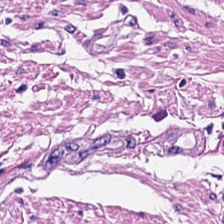Hematoxylin-and-eosin stained section.
Showing smooth-muscle tissue.
